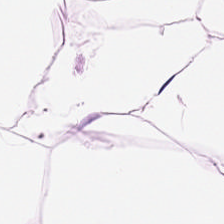Hematoxylin-and-eosin stained section. 224×224 px patch.
Q: Identify the tissue.
A: Adipose tissue.
